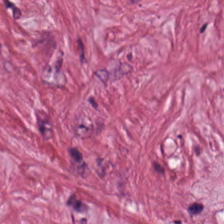Tumor stroma.
